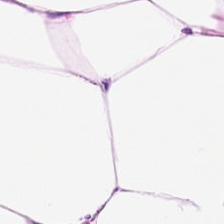H&E stain. Predominant tissue: adipose.
